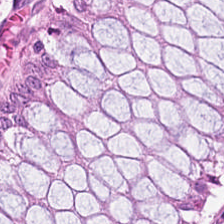Q: What is shown here?
A: It is normal colon mucosa.
